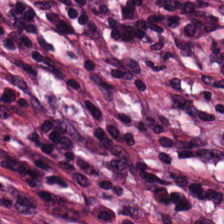H&E-stained tissue section; 0.5 µm/px — Q: Identify the tissue.
A: The field shows desmoplastic stroma.
